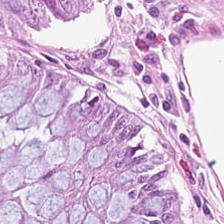Hematoxylin-and-eosin stained section — Tissue = normal colonic mucosa.
